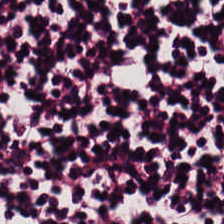H&E stain · 0.5 microns per pixel — The predominant tissue is lymphoid infiltrate.
